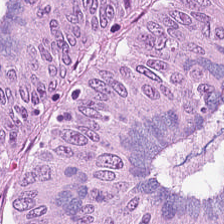H&E-stained tissue section.
Q: What type of tissue is this?
A: This is colorectal adenocarcinoma epithelium.
